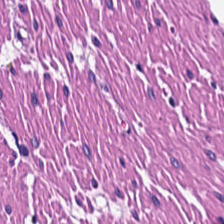Hematoxylin-and-eosin stained section.
The classification is smooth-muscle tissue.
